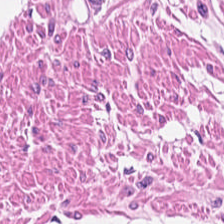H&E-stained tissue section — Classification = smooth-muscle tissue.
